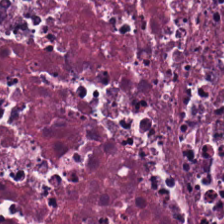Brightfield microscopy; FFPE; H&E — Predominant tissue — necrotic debris.
